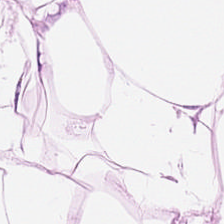Showing adipose tissue.
